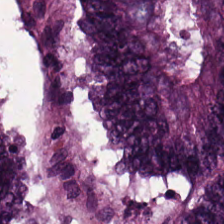Predominant tissue = colorectal adenocarcinoma epithelium.
